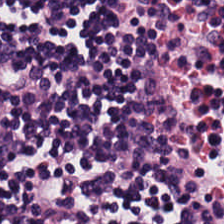H&E-stained tissue section.
Q: Identify the tissue.
A: This is lymphocytic infiltrate.
